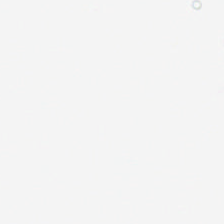Hematoxylin and eosin. FFPE — No tissue.
